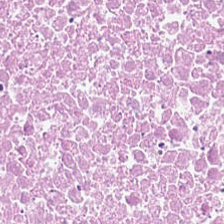H&E-stained tissue section.
Predominantly debris.
